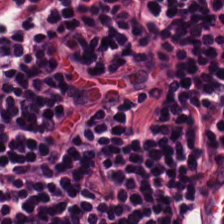224×224 px patch. H&E-stained tissue section — {"tissue_type": "lymphocytic infiltrate"}
